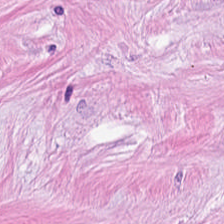H&E-stained tissue section; 0.5 µm per pixel — Q: What is shown here?
A: The field shows tumor-associated stroma.
